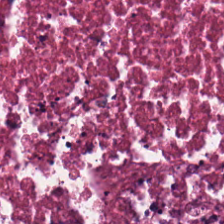Hematoxylin-and-eosin stained section.
Q: What is shown in this field?
A: This is cellular debris.
